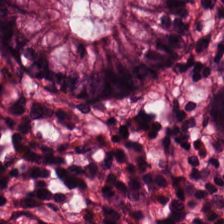Brightfield; H&E stain; 224×224 px patch — Predominant tissue — non-neoplastic colon mucosa.
